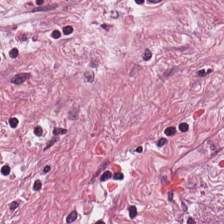Stain: H&E stain.
Tissue: desmoplastic stroma.
